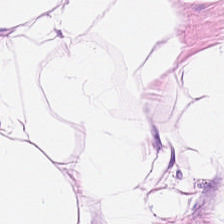Formalin-fixed paraffin-embedded section · 20× equivalent magnification · H&E stain. Classification = fat tissue.
